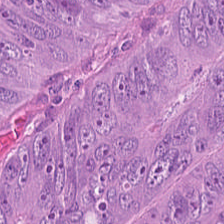H&E stain. Tissue class — malignant epithelium.
